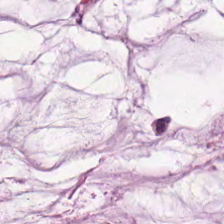224×224 px patch; H&E. Showing extracellular mucin.
